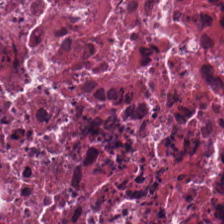H&E-stained tissue section — The predominant tissue is necrotic debris.
